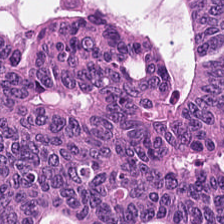The tissue class is colorectal adenocarcinoma.
